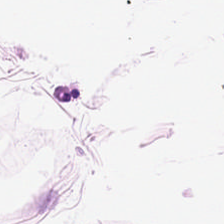Stain: H&E stain.
Tissue class: fat tissue.
